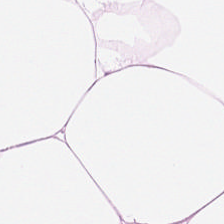Tissue class — adipocytes.
